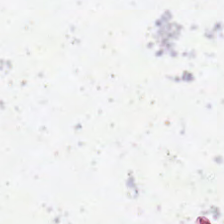H&E stain · WSI patch.
Field content: empty background.
